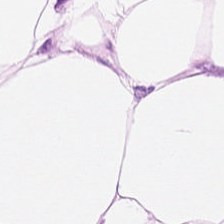Hematoxylin-and-eosin section: fat tissue.
